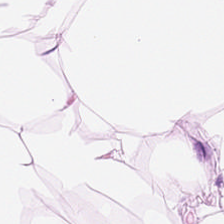Hematoxylin and eosin.
Impression → fat tissue.
